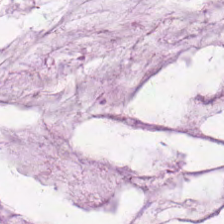H&E stain.
Q: What is shown here?
A: Mucin.
